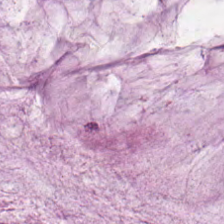Predominantly mucin.
